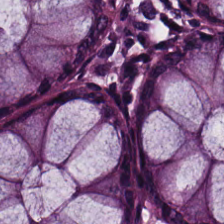Hematoxylin-and-eosin stained section. 0.5 µm per pixel.
Histology → benign colonic mucosa.
